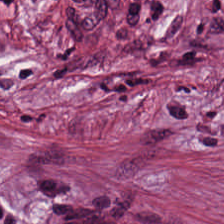H&E-stained tissue section · FFPE tissue section — The tissue type is tumor-associated stroma.
